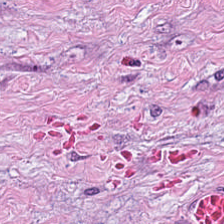H&E-stained tissue section — Impression → cancer-associated stroma.
